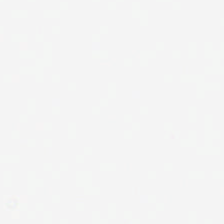0.5 µm/px · hematoxylin-and-eosin stained section. Empty background.
